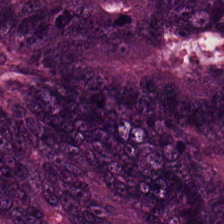H&E stain. Tissue class: colorectal adenocarcinoma epithelium.
